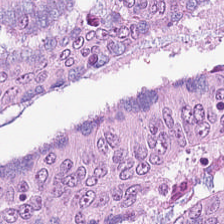Stain: H&E stain.
Classification: colorectal adenocarcinoma epithelium.
